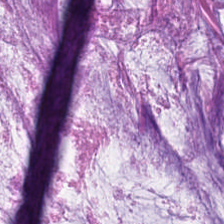Predominant tissue: extracellular mucin.
